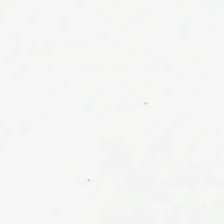Background — no tissue in this field.
